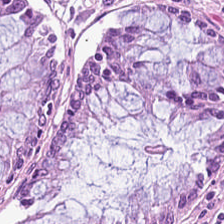WSI patch · H&E · 0.5 microns per pixel.
Finding → normal colon mucosa.
